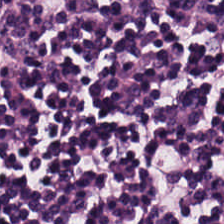224×224 px tile · hematoxylin and eosin — Tissue class — lymphocytes.
